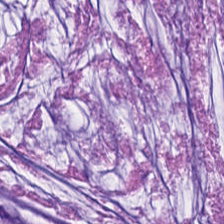FFPE tissue section. H&E. Whole-slide-image patch.
{"tissue_type": "extracellular mucin"}
